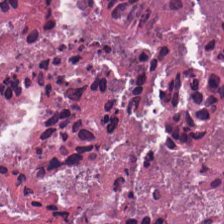224×224 pixel tile. Hematoxylin-and-eosin stained section. FFPE. Q: What is shown here?
A: It is necrotic debris.
